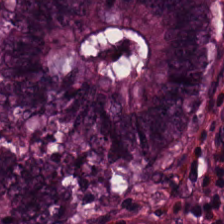Formalin-fixed paraffin-embedded section; H&E stain; 0.5 µm/px. Histology — benign colonic mucosa.
